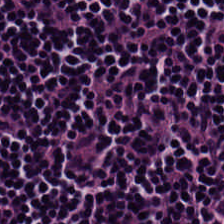Stain: H&E-stained tissue section.
Resolution: 20× equivalent magnification.
Tissue type: lymphocyte aggregate.
